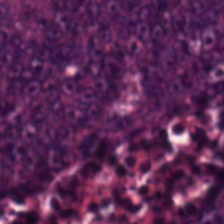Tissue class — adenocarcinoma.
